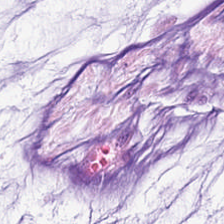H&E stain — Classification = extracellular mucin.
